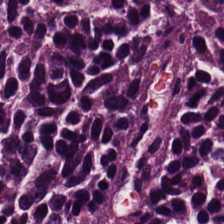Predominant tissue: lymphoid infiltrate.
